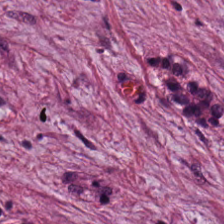H&E stain. Tumor stroma.
